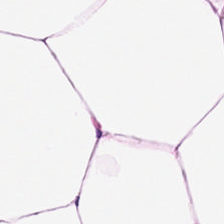Formalin-fixed paraffin-embedded section · 224×224 pixel tile · H&E.
Tissue type: adipose tissue.
